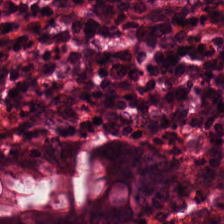H&E · brightfield microscopy. The classification is normal colonic mucosa.
